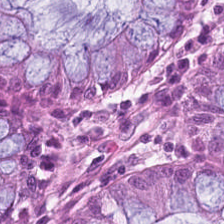H&E stain — Q: What type of tissue is this?
A: The field shows benign colonic mucosa.
